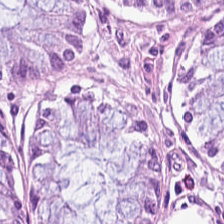Q: What is the predominant tissue type?
A: Normal colonic mucosa.
